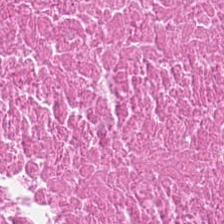Brightfield microscopy · H&E-stained tissue section · FFPE tissue section — The predominant tissue is debris.
